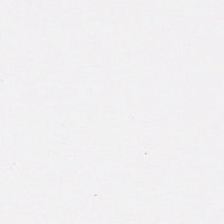Q: What is shown here?
A: This is no tissue.
